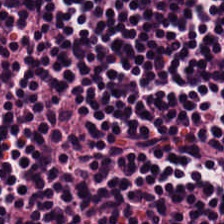H&E; brightfield.
This patch shows lymphocytes.
